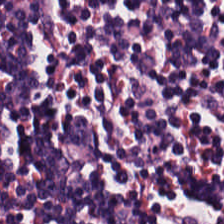FFPE. H&E-stained tissue section. WSI patch. Tissue type = lymphocytes.
